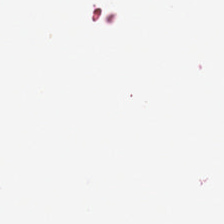20× equivalent magnification; H&E stain. This patch shows background (no tissue).
